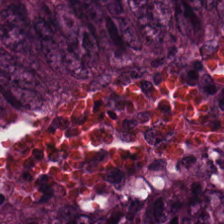Hematoxylin-and-eosin stained section. Tissue class = colorectal adenocarcinoma.
